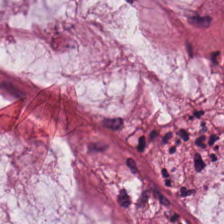Brightfield · H&E · 20× equivalent magnification — The tissue type is extracellular mucin.
